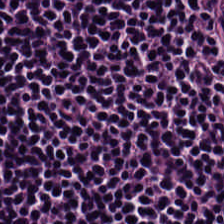Whole-slide-image patch; hematoxylin-and-eosin stained section.
Predominant tissue = lymphocytes.
